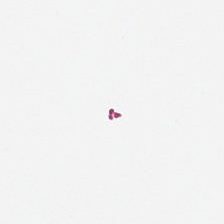Hematoxylin-and-eosin stained section; FFPE tissue section.
Q: Classify this patch.
A: This is empty background.
